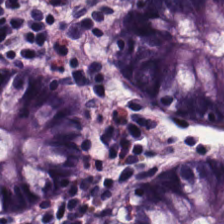FFPE tissue section · hematoxylin and eosin · brightfield microscopy. This patch shows normal colonic mucosa.
